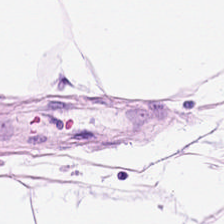H&E-stained tissue section — This patch shows fat tissue.
